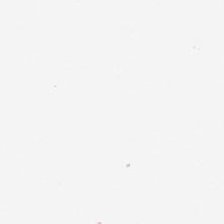H&E-stained tissue section.
Background (no tissue).
